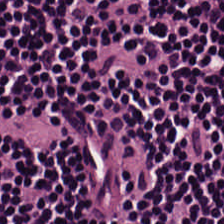H&E-stained tissue section; FFPE tissue section; brightfield. Q: What is shown here?
A: The field shows lymphoid infiltrate.
